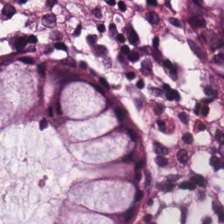H&E. Whole-slide-image patch — This field is benign colonic mucosa.
